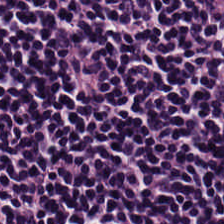H&E stain.
Classification: lymphocyte aggregate.
